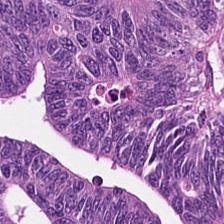Hematoxylin-and-eosin stained section.
Tissue class — colorectal adenocarcinoma epithelium.
